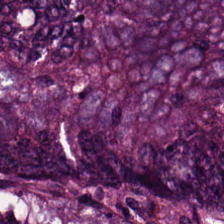Tissue class: colorectal adenocarcinoma.
